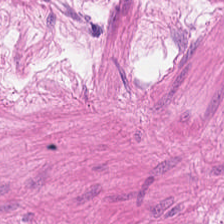H&E-stained tissue section · 0.5 µm per pixel · 224×224 px tile — Tissue class: muscularis.
